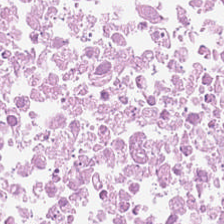H&E-stained tissue section showing debris.
